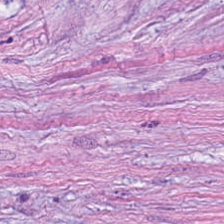Hematoxylin and eosin. Brightfield — Q: What is shown here?
A: Desmoplastic stroma.
